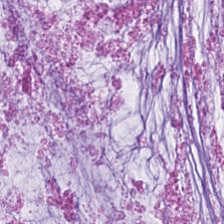H&E — Tissue — mucus.
